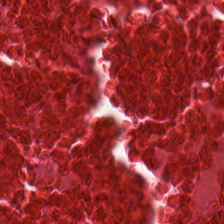Hematoxylin and eosin. Classification: debris.
